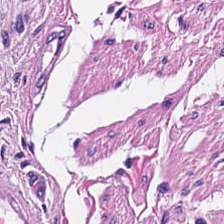H&E-stained tissue section · 224×224 pixel tile · 20× equivalent magnification — Q: Identify the tissue.
A: This is smooth muscle.
